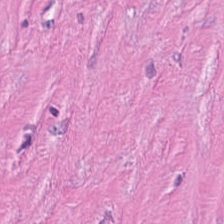Hematoxylin and eosin; WSI patch. Q: What type of tissue is this?
A: The field shows tumor stroma.
